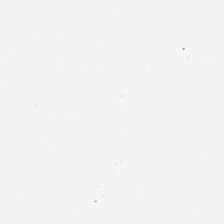Q: What is shown here?
A: This is background (no tissue).
